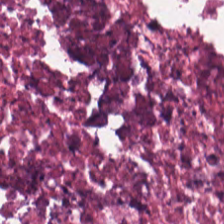224×224 px patch. Brightfield. H&E. This patch shows necrotic debris.
